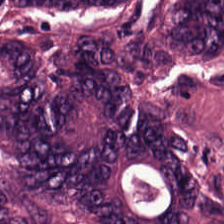H&E-stained tissue section — Classification: tumor epithelium.
